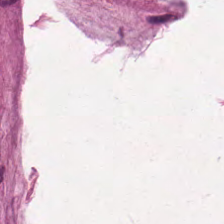{"tissue_type": "extracellular mucin"}
